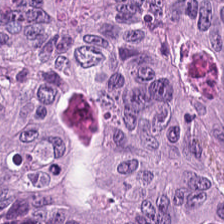Hematoxylin-and-eosin stained section.
Q: What is the predominant tissue type?
A: It is colorectal adenocarcinoma.
